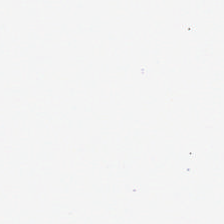Stain: H&E.
Resolution: 20× equivalent magnification.
Preparation: formalin-fixed paraffin-embedded section.
Field content: empty background.
